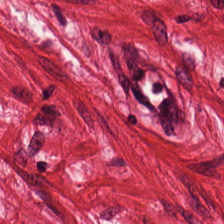H&E-stained tissue section; 0.5 µm per pixel — This patch shows smooth muscle.
